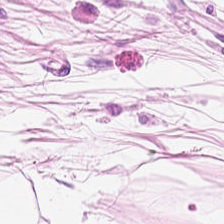The predominant tissue is adipose.
